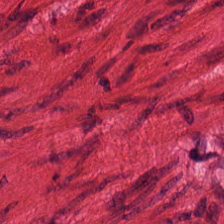Stain: H&E stain.
Tissue type: muscularis.
